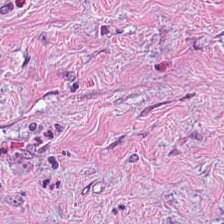H&E. WSI patch. 224×224 pixel tile.
Histology — desmoplastic stroma.
